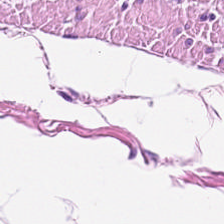Tissue type — smooth muscle.
